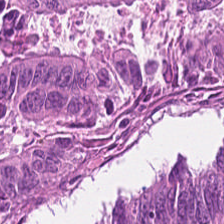Impression — tumor epithelium.
